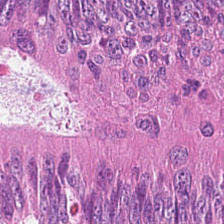0.5 microns per pixel; H&E-stained tissue section; WSI patch — Q: What tissue type is shown here?
A: The field shows malignant epithelium.
